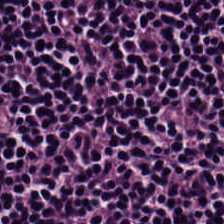H&E-stained tissue section.
The tissue here is lymphocytes.
